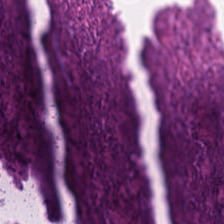224×224 pixel tile; H&E. {"tissue_type": "debris"}
